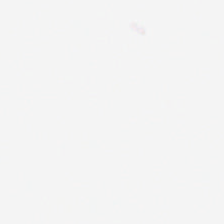Hematoxylin-and-eosin stained section — Finding → no tissue.
